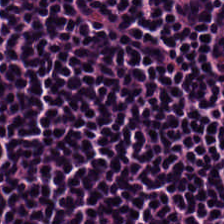Stain: hematoxylin and eosin.
Tile size: 224×224 px patch.
Tissue type: lymphocytic infiltrate.
